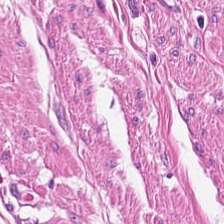Q: What does this patch show?
A: Smooth-muscle tissue.
